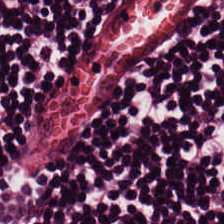Stain: hematoxylin-and-eosin stained section.
Tissue: lymphoid infiltrate.
